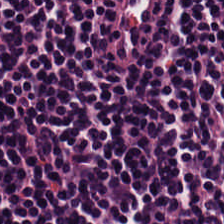Predominantly lymphocytes.
